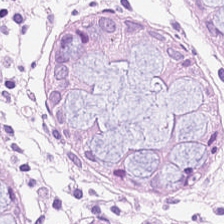Hematoxylin and eosin.
Showing normal colonic mucosa.
